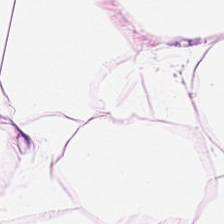Whole-slide-image patch · FFPE tissue section · hematoxylin and eosin.
Predominantly fat tissue.
